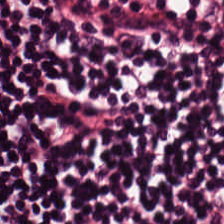H&E stain.
Q: What type of tissue is this?
A: The field shows lymphocytic infiltrate.
